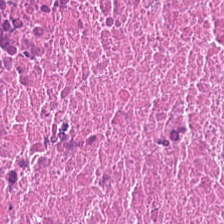H&E.
The predominant tissue is cellular debris.
